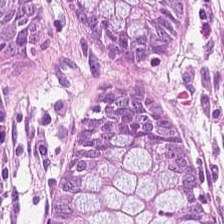Showing benign colonic mucosa.
